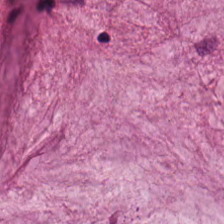H&E stain. Classification = mucin.
